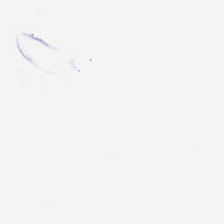H&E stain. 224×224 px tile. Finding → no tissue.
